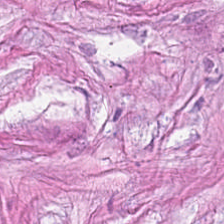Hematoxylin-and-eosin stained section; FFPE.
Q: What tissue is shown?
A: The field shows desmoplastic stroma.
